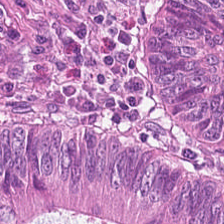Brightfield. H&E-stained tissue section — Showing adenocarcinoma.
